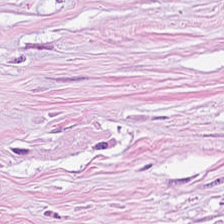H&E. Q: What is shown in this field?
A: Tumor-associated stroma.
